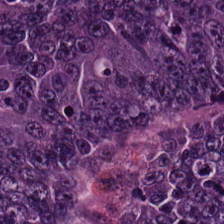Hematoxylin-and-eosin stained section. 224×224 px tile. Tissue class — malignant epithelium.
